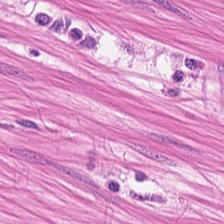H&E-stained tissue section. Formalin-fixed paraffin-embedded section.
Predominant tissue — smooth-muscle tissue.
